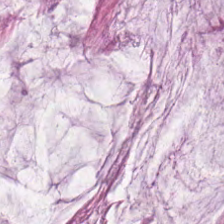H&E stain; 224×224 px tile; 20× equivalent magnification.
Classification — mucus.
